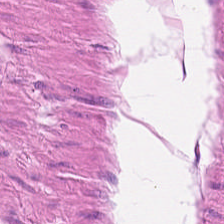Hematoxylin-and-eosin stained section. Q: What tissue is shown?
A: Muscularis.
